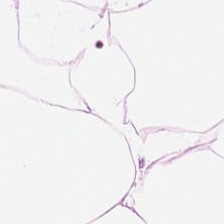FFPE tissue section · hematoxylin and eosin. This field is adipocytes.
